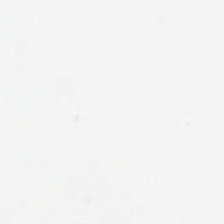FFPE tissue section · H&E · brightfield.
Q: What is shown in this field?
A: This is background (no tissue).
